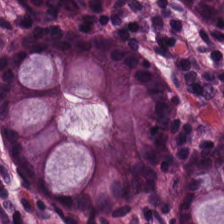H&E-stained tissue section.
Finding — normal colon mucosa.
